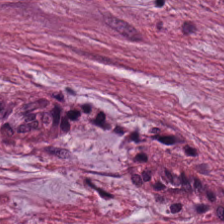H&E · FFPE tissue section. Tumor stroma.
